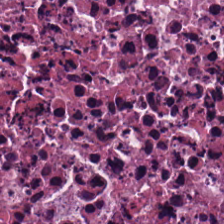Hematoxylin-and-eosin stained section · 0.5 µm per pixel.
Q: What type of tissue is this?
A: Cellular debris.
